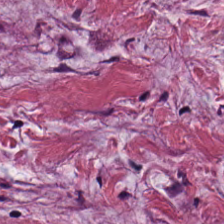H&E stain.
Showing tumor-associated stroma.
